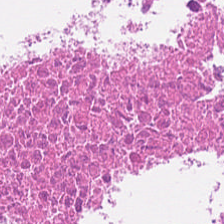Hematoxylin-and-eosin stained section · 20× equivalent magnification · 224×224 pixel tile — Predominantly necrotic debris.
